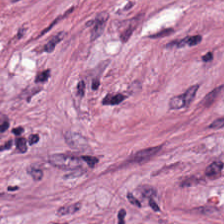H&E-stained tissue section — Classification — desmoplastic stroma.
